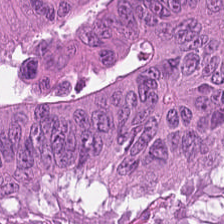H&E-stained tissue section · 224×224 pixel tile. Tissue class — colorectal adenocarcinoma epithelium.
